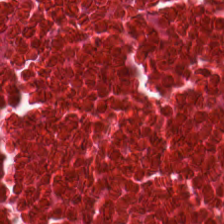H&E-stained tissue section.
Q: Classify this patch.
A: It is cellular debris.
